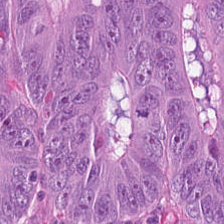Classification: colorectal adenocarcinoma epithelium.
